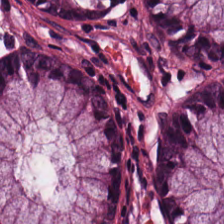Hematoxylin-and-eosin stained section.
The predominant tissue is non-neoplastic colon mucosa.
